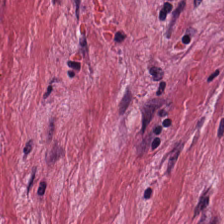H&E stain. 224×224 px tile. WSI patch — Classification: tumor-associated stroma.
